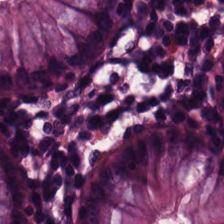Stain: H&E stain.
Predominant tissue: non-neoplastic colon mucosa.
